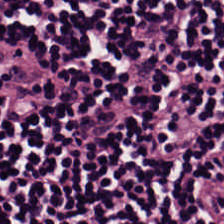Hematoxylin-and-eosin stained section; WSI patch — Finding → lymphocytic infiltrate.
